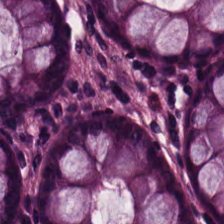Stain: hematoxylin and eosin.
Preparation: FFPE tissue section.
Predominant tissue: non-neoplastic colon mucosa.
